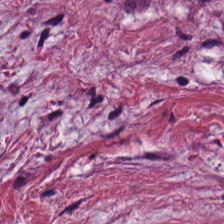Stain: hematoxylin and eosin.
Tile size: 224×224 px tile.
Resolution: 20× equivalent magnification.
Tissue class: tumor-associated stroma.
